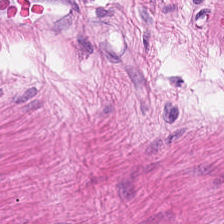Stain: hematoxylin-and-eosin stained section.
Tissue type: muscularis.
